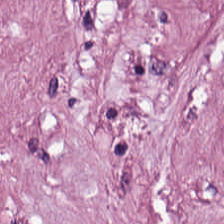H&E-stained tissue section.
Q: Classify this patch.
A: It is cancer-associated stroma.
